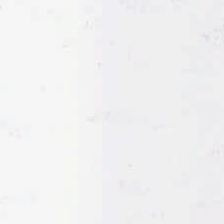Hematoxylin and eosin.
Background — no tissue in this field.
